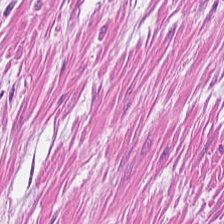Classification — smooth-muscle tissue.
